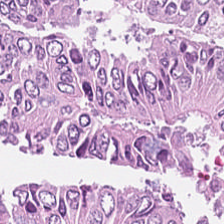H&E-stained tissue section. The tissue is colorectal adenocarcinoma epithelium.
